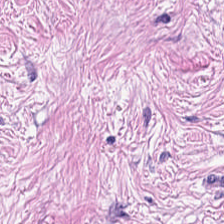224×224 pixel tile. H&E. FFPE. Histology → tumor stroma.
